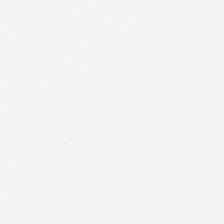WSI patch; H&E stain.
Q: What is shown in this field?
A: No tissue.
